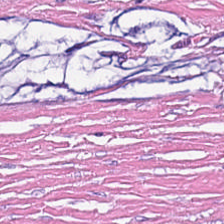H&E · brightfield microscopy · FFPE. Tissue: desmoplastic stroma.
